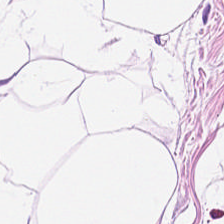H&E stain. The tissue here is adipocytes.
